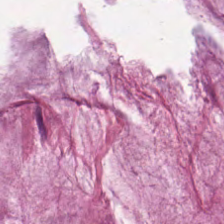H&E-stained tissue section.
Mucin.
